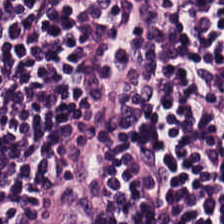Stain: hematoxylin and eosin.
Classification: lymphoid infiltrate.
